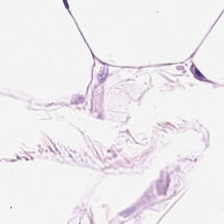The tissue class is adipocytes.
